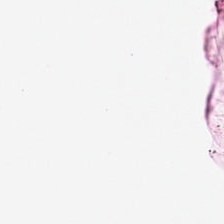Hematoxylin and eosin. Formalin-fixed paraffin-embedded section. The content is no tissue.
